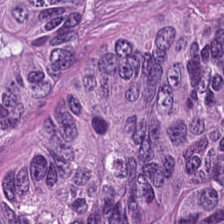H&E.
{"tissue_type": "adenocarcinoma"}
